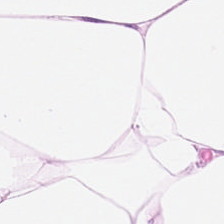H&E-stained tissue section. 224×224 pixel tile. 0.5 microns per pixel — The predominant tissue is adipocytes.
